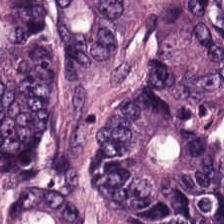Hematoxylin and eosin — The tissue here is tumor epithelium.
